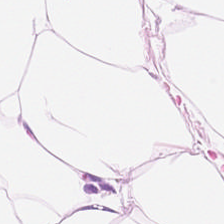224×224 px patch; H&E-stained tissue section. This patch shows adipocytes.
